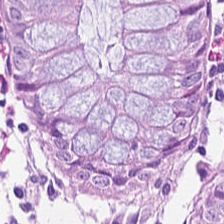Benign colonic mucosa.
